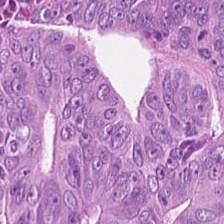H&E stain.
The predominant tissue is malignant epithelium.
